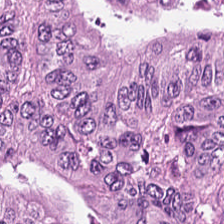H&E stain. Formalin-fixed paraffin-embedded section. The tissue here is malignant epithelium.
